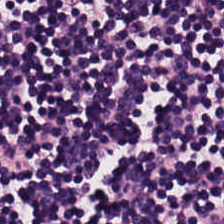H&E — lymphocytes.
